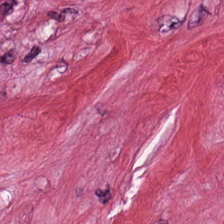Hematoxylin-and-eosin stained section. 224×224 px tile — Showing cancer-associated stroma.
